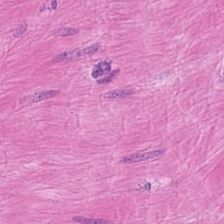Predominant tissue — muscularis.
